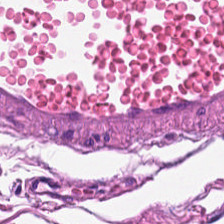H&E-stained tissue section; 0.5 µm/px — Predominantly muscularis.
